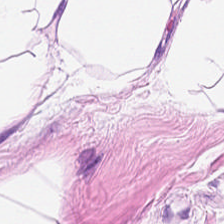H&E. {"tissue_type": "fat tissue"}
